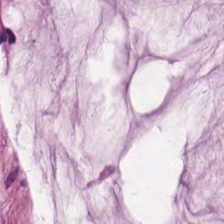H&E-stained tissue section. {"tissue_type": "extracellular mucin"}
